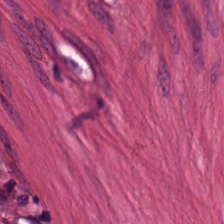Stain: hematoxylin-and-eosin stained section.
Acquisition: brightfield.
Tissue type: smooth muscle.
